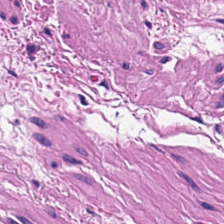H&E. WSI patch.
Q: What is shown in this field?
A: The field shows smooth muscle.
